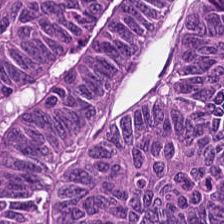224×224 pixel tile; H&E-stained tissue section — Showing adenocarcinoma.
